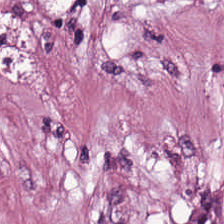H&E — {"tissue_type": "tumor stroma"}
